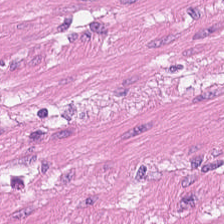Tissue class — muscularis.
